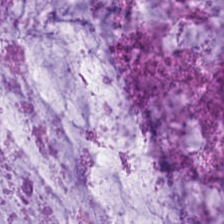Hematoxylin-and-eosin stained section · FFPE tissue section — Predominant tissue = extracellular mucin.
